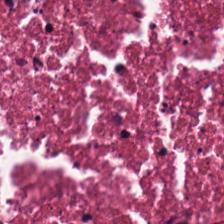H&E — cellular debris.
